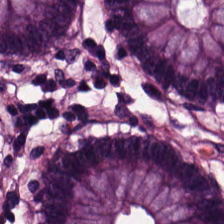0.5 µm per pixel; hematoxylin and eosin.
Q: What type of tissue is this?
A: It is non-neoplastic colon mucosa.
